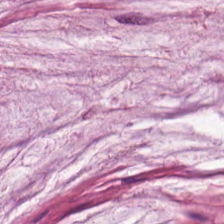Stain: H&E stain.
Tile size: 224×224 pixel tile.
Tissue: mucin.
